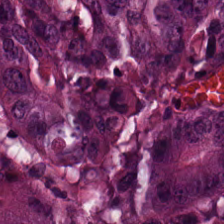Tissue type = malignant epithelium.
